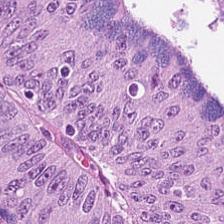H&E-stained tissue section.
Histology → malignant epithelium.
